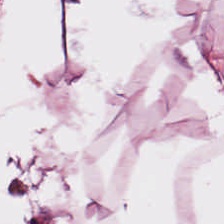0.5 microns per pixel; hematoxylin-and-eosin stained section — The classification is adipose tissue.
